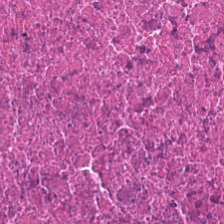H&E-stained tissue section showing necrotic debris.
